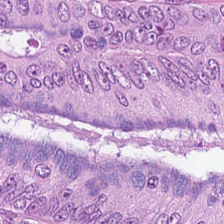The classification is malignant epithelium.
